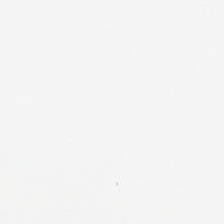Hematoxylin-and-eosin stained section; 224×224 pixel tile.
Field content — background (no tissue).
